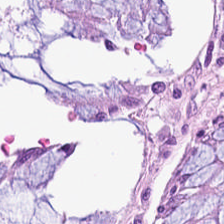H&E-stained tissue section. The tissue here is benign colonic mucosa.
